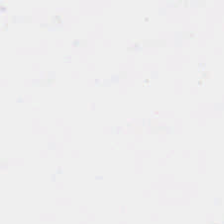H&E-stained tissue section. Classification = no tissue.
